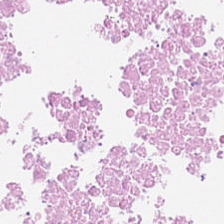Q: Identify the tissue.
A: This is cellular debris.
